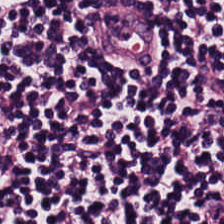Formalin-fixed paraffin-embedded section; hematoxylin and eosin — Predominantly lymphocytic infiltrate.
